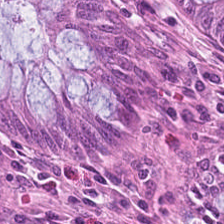Hematoxylin and eosin.
The predominant tissue is normal colon mucosa.
